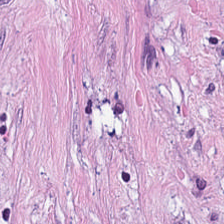Stain: hematoxylin and eosin.
Predominant tissue: desmoplastic stroma.
